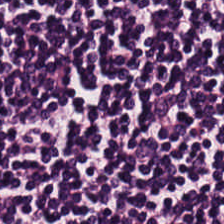The tissue here is lymphocytic infiltrate.
